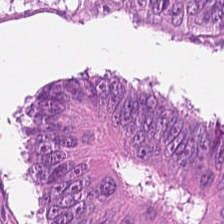H&E-stained tissue section.
Predominantly colorectal adenocarcinoma.
